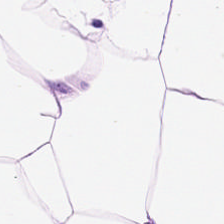0.5 microns per pixel · H&E-stained tissue section — Q: What does this patch show?
A: It is adipocytes.
